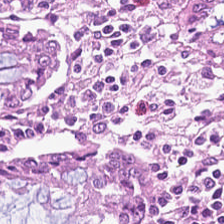H&E-stained tissue section. Classification = normal colonic mucosa.
